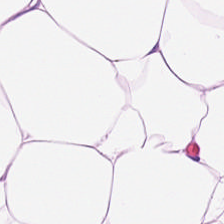Hematoxylin and eosin. Showing adipocytes.
